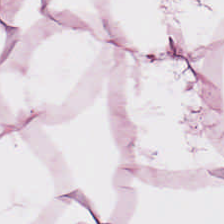Stain: H&E-stained tissue section.
Classification: adipocytes.
